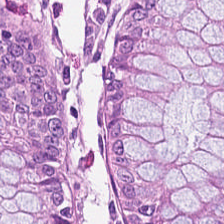224×224 pixel tile · 0.5 µm per pixel · hematoxylin and eosin.
Histology — benign colonic mucosa.
